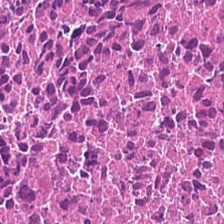Stain: hematoxylin-and-eosin stained section.
Tissue class: debris.
